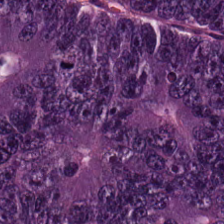Impression → colorectal adenocarcinoma.
